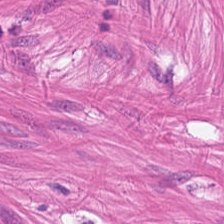Q: What is shown here?
A: It is muscularis.
